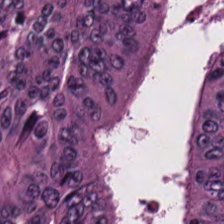Stain: H&E.
Resolution: 0.5 µm per pixel.
Acquisition: brightfield.
Predominant tissue: colorectal adenocarcinoma.
